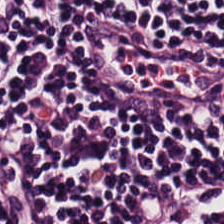Brightfield. Hematoxylin-and-eosin stained section. 20× equivalent magnification.
Tissue type = lymphocyte aggregate.
